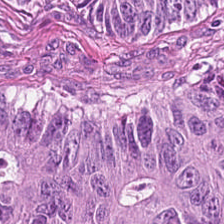Q: What type of tissue is this?
A: The field shows malignant epithelium.
